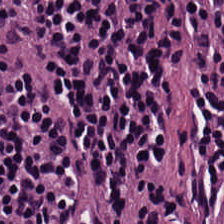H&E.
The tissue here is lymphocyte aggregate.
